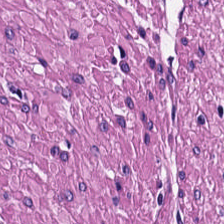{"tissue_type": "smooth muscle"}
